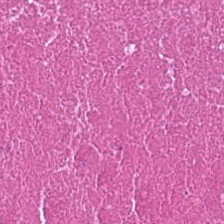Brightfield microscopy; H&E-stained tissue section; formalin-fixed paraffin-embedded section. Showing debris.
